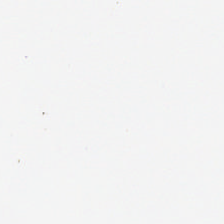Content — background (no tissue).
